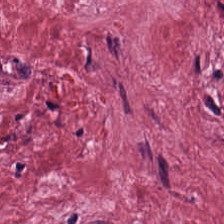H&E-stained tissue section — Tissue — desmoplastic stroma.
